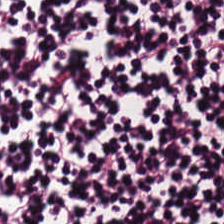Hematoxylin and eosin. Showing lymphocytes.
